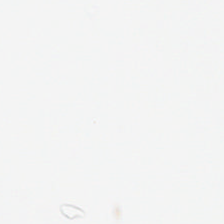Hematoxylin-and-eosin stained section — The field content is background (no tissue).
